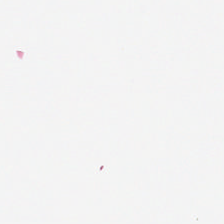Background — no tissue in this field.
